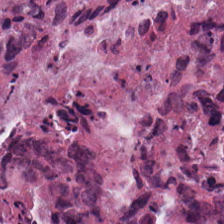Hematoxylin-and-eosin stained section.
Tissue: necrotic debris.
